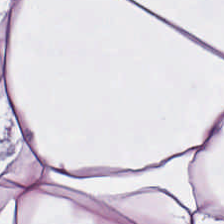Hematoxylin-and-eosin section: adipose tissue.
